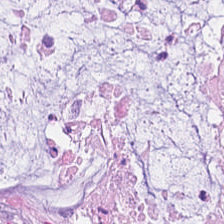H&E stain · whole-slide-image patch.
Tissue = extracellular mucin.
